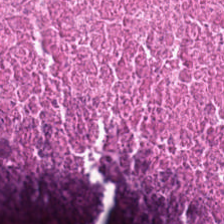H&E stain.
The tissue here is necrotic debris.
